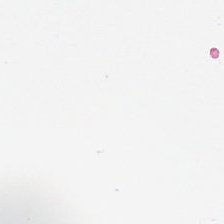Stain: H&E-stained tissue section.
Classification: background.
